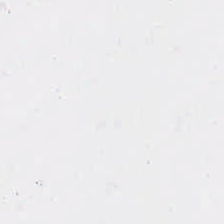Hematoxylin-and-eosin stained section.
Background (no tissue).
